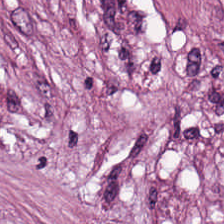H&E. 0.5 µm/px.
Tissue type — tumor stroma.
